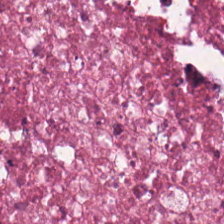H&E · formalin-fixed paraffin-embedded section · brightfield.
Q: Identify the tissue.
A: This is debris.
